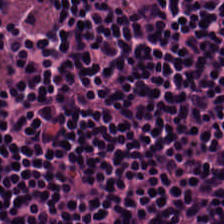H&E — lymphocytic infiltrate.
